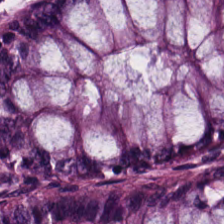H&E-stained tissue section · brightfield — Tissue class: non-neoplastic colon mucosa.
